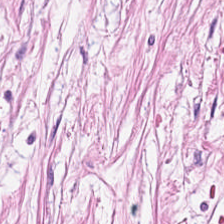Hematoxylin-and-eosin stained section.
Tissue = tumor stroma.
